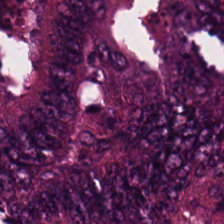Hematoxylin and eosin. This field is malignant epithelium.
